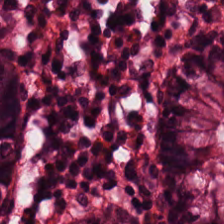Hematoxylin-and-eosin stained section.
Q: What does this patch show?
A: It is normal colon mucosa.
